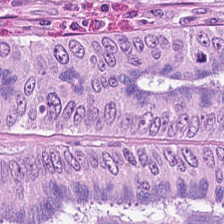Hematoxylin-and-eosin stained section · WSI patch. Q: What is shown here?
A: The field shows adenocarcinoma.
